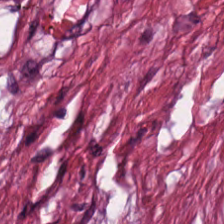H&E-stained tissue section. Tissue = cancer-associated stroma.
